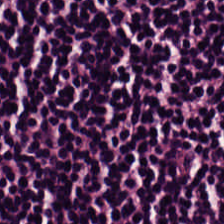H&E. This patch shows lymphocyte aggregate.
